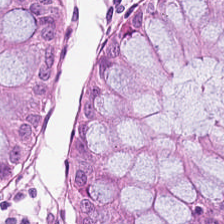Brightfield microscopy; H&E-stained tissue section — This field is normal colonic mucosa.
